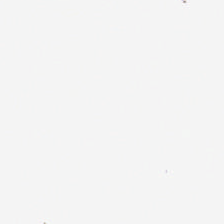This field is background (no tissue).
